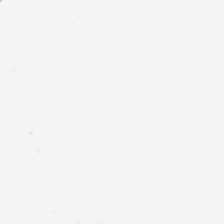Background — no tissue in this field.
